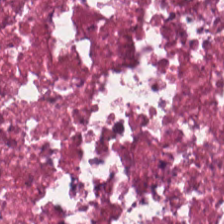FFPE tissue section; brightfield; H&E. This patch shows necrotic debris.
